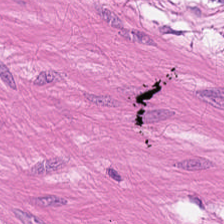Hematoxylin and eosin.
Q: Classify this patch.
A: This is smooth-muscle tissue.
